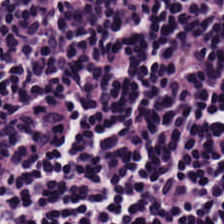Showing lymphocytes.
